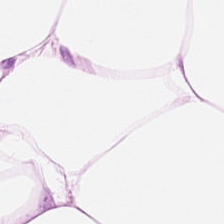Hematoxylin-and-eosin stained section.
Finding → adipose.
